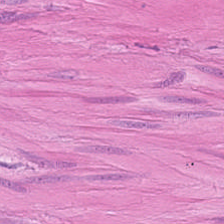Hematoxylin-and-eosin stained section — Q: What tissue is shown?
A: It is smooth muscle.
